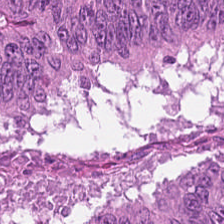Stain: hematoxylin and eosin.
Tile size: 224×224 px tile.
Classification: adenocarcinoma.
